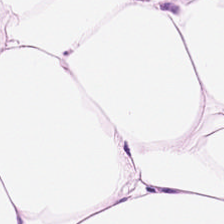FFPE; H&E; brightfield. Predominantly fat tissue.
